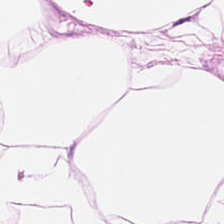Hematoxylin-and-eosin stained section.
Tissue — adipose tissue.
